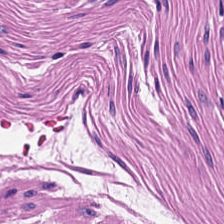H&E. 224×224 pixel tile. Whole-slide-image patch. Tissue class = muscularis.
